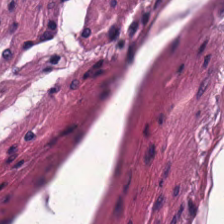Hematoxylin and eosin — Showing smooth muscle.
